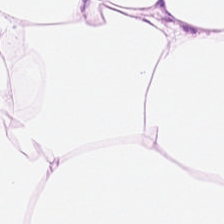FFPE; H&E-stained tissue section; 0.5 µm per pixel.
Impression — adipose.
